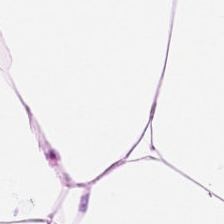The tissue here is adipocytes.
